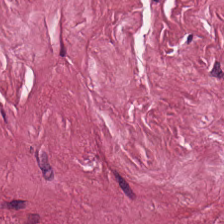Histology — desmoplastic stroma.
